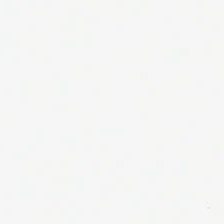Content: background (no tissue).
